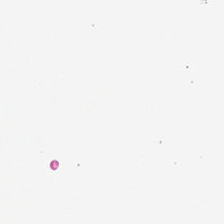Hematoxylin-and-eosin stained section — Content: no tissue.
